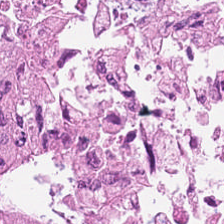Q: What type of tissue is this?
A: It is colorectal adenocarcinoma.
